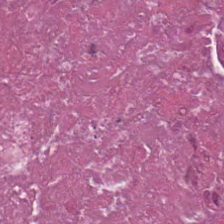H&E stain. WSI patch. Q: Classify this patch.
A: Cellular debris.
